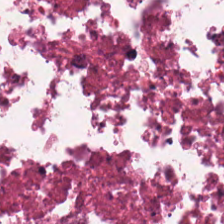Impression → necrotic debris.
